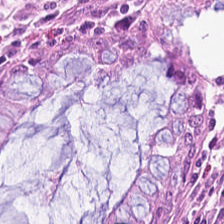Hematoxylin and eosin · FFPE · 224×224 px patch — The classification is non-neoplastic colon mucosa.
